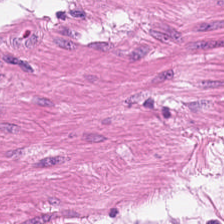Formalin-fixed paraffin-embedded section; 224×224 px tile; H&E stain — Smooth-muscle tissue.
